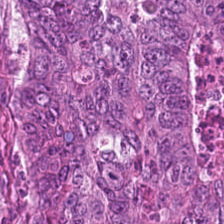Stain: hematoxylin and eosin.
Tissue type: adenocarcinoma.
